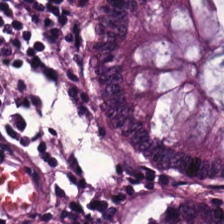H&E stain — The tissue here is non-neoplastic colon mucosa.
